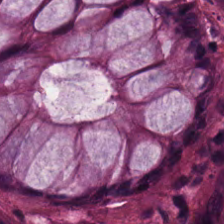Stain: hematoxylin-and-eosin stained section.
Classification: normal colonic mucosa.
